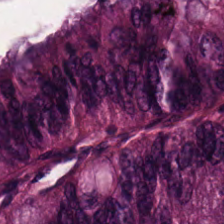H&E-stained tissue section · 0.5 microns per pixel · 224×224 px patch.
Tissue: malignant epithelium.
